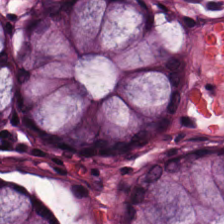H&E-stained tissue section.
This patch shows non-neoplastic colon mucosa.
